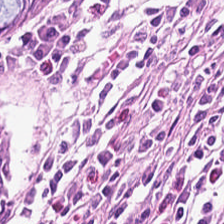20× equivalent magnification; H&E-stained tissue section; formalin-fixed paraffin-embedded section. The predominant tissue is normal colon mucosa.
